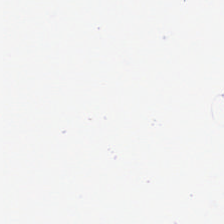Whole-slide-image patch · H&E stain · 224×224 px patch. Impression → background.
